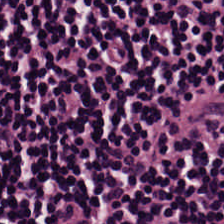H&E-stained tissue section. Q: What tissue is shown?
A: Lymphocytic infiltrate.
